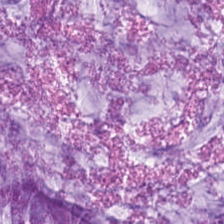Classification = mucin.
